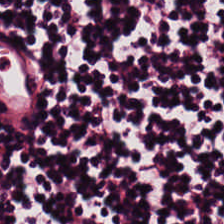H&E stain. FFPE tissue section. This patch shows lymphocyte aggregate.
